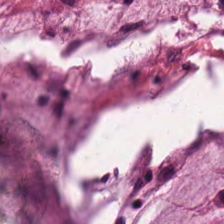0.5 microns per pixel. Brightfield. H&E — The classification is mucin.
